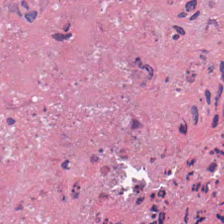Hematoxylin-and-eosin stained section. Whole-slide-image patch. Q: What tissue type is shown here?
A: It is cellular debris.
